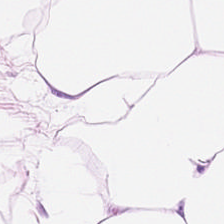Q: What is shown in this field?
A: This is adipose tissue.
